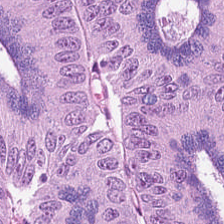H&E-stained tissue section.
This patch shows colorectal adenocarcinoma epithelium.
